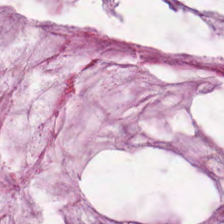H&E stain.
Tissue type — mucus.
